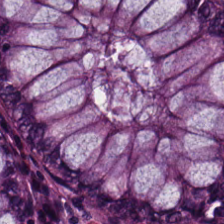Hematoxylin-and-eosin stained section; 20× equivalent magnification.
Impression → benign colonic mucosa.
